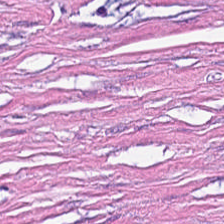FFPE tissue section; H&E.
{"tissue_type": "tumor stroma"}
